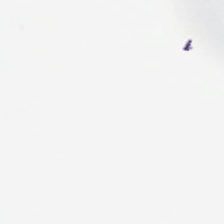Hematoxylin and eosin.
This field is background (no tissue).
